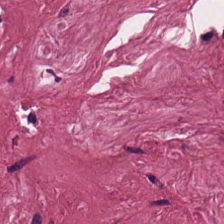Hematoxylin and eosin — The tissue here is tumor stroma.
